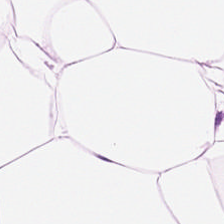0.5 µm/px. Hematoxylin-and-eosin stained section.
This patch shows fat tissue.
